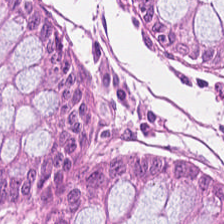FFPE tissue section; hematoxylin and eosin; 0.5 microns per pixel — The predominant tissue is benign colonic mucosa.
